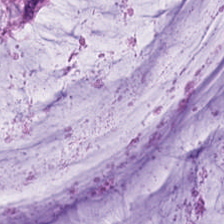H&E-stained tissue section. WSI patch.
Showing mucin.
